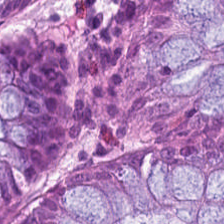Hematoxylin-and-eosin stained section. Finding — benign colonic mucosa.
